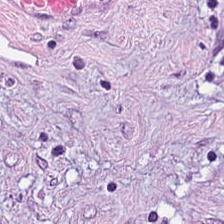H&E stain; 224×224 px tile. Q: Classify this patch.
A: This is tumor-associated stroma.
